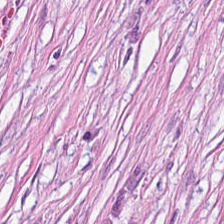H&E stain — The predominant tissue is cancer-associated stroma.
